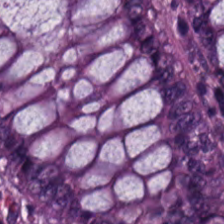H&E stain. Benign colonic mucosa.
